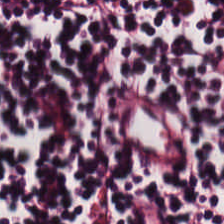Hematoxylin-and-eosin stained section — This field is lymphocytic infiltrate.
